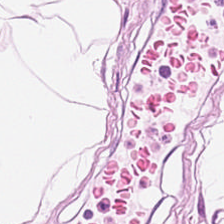H&E stain.
Tissue class — adipocytes.
